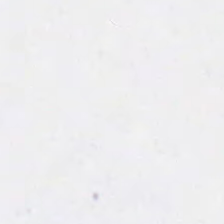H&E-stained tissue section. Impression → background (no tissue).
